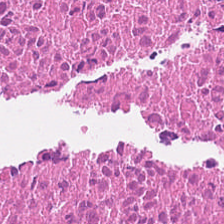H&E-stained tissue section.
The tissue here is cellular debris.
